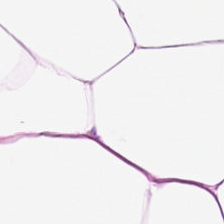H&E. Tissue type — fat tissue.
